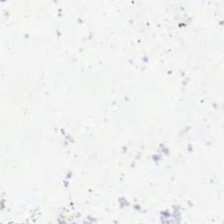Hematoxylin-and-eosin stained section. Field content — background (no tissue).
